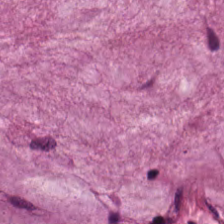Stain: H&E stain.
Classification: mucus.
